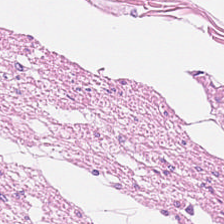Brightfield microscopy. H&E stain — Finding — smooth-muscle tissue.
